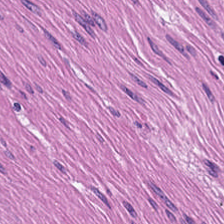Stain: hematoxylin and eosin.
Preparation: FFPE tissue section.
Tissue type: smooth-muscle tissue.
